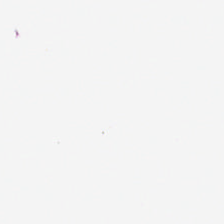Stain: H&E.
Acquisition: WSI patch.
Classification: background.
